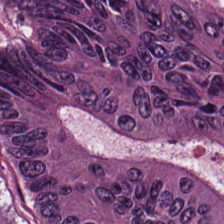Q: What is shown in this field?
A: The field shows colorectal adenocarcinoma.
